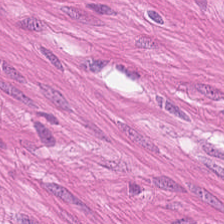FFPE tissue section; hematoxylin and eosin. Q: What does this patch show?
A: The field shows muscularis.
